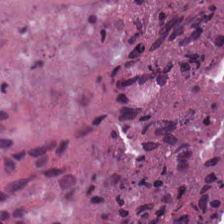Formalin-fixed paraffin-embedded section. H&E-stained tissue section. The tissue here is debris.
